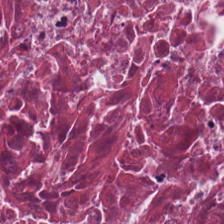The tissue is debris.
